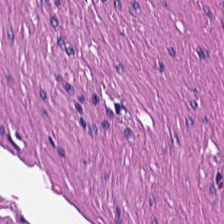0.5 µm/px; H&E stain. Finding → smooth-muscle tissue.
